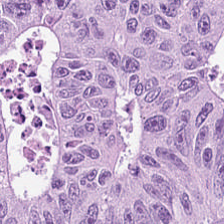Stain: H&E.
Resolution: 0.5 µm per pixel.
Tile size: 224×224 pixel tile.
Tissue class: malignant epithelium.
